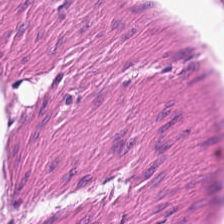Q: What does this patch show?
A: Muscularis.
